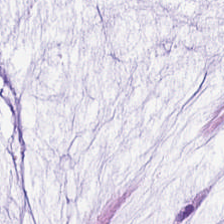The tissue here is mucin.
